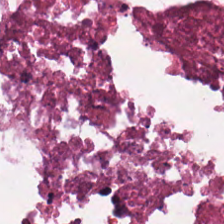WSI patch · H&E-stained tissue section. Q: What does this patch show?
A: The field shows cellular debris.
